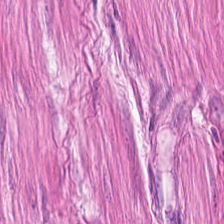H&E stain. Q: What is shown here?
A: Muscularis.
